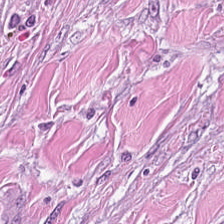Stain: hematoxylin-and-eosin stained section.
Tissue: desmoplastic stroma.
